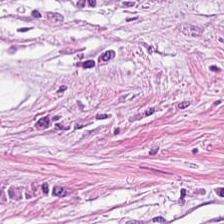H&E-stained tissue section. 224×224 px patch.
Finding — desmoplastic stroma.
